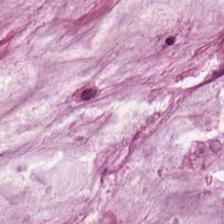H&E stain — Mucus.
